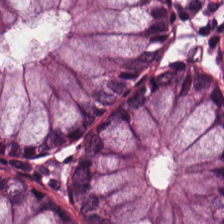Hematoxylin-and-eosin stained section.
The tissue here is normal colonic mucosa.
